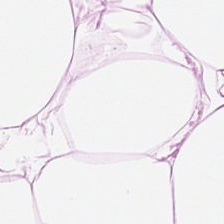H&E — Adipose tissue.
